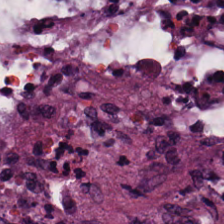H&E stain.
Finding → adenocarcinoma.
